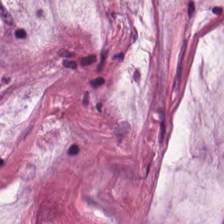H&E. Tissue type — mucin.
